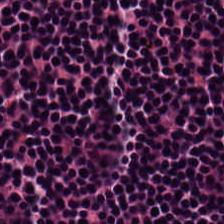H&E-stained tissue section. This patch shows lymphocytes.
